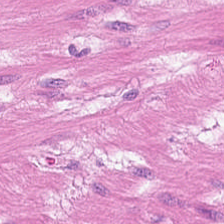Stain: hematoxylin and eosin.
Tissue class: smooth muscle.
